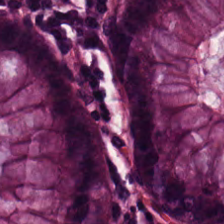H&E stain · formalin-fixed paraffin-embedded section · 224×224 px patch. The tissue class is normal colon mucosa.
